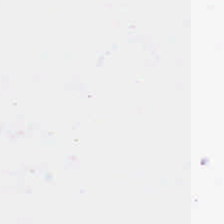Formalin-fixed paraffin-embedded section; H&E stain. Q: What is shown in this field?
A: No tissue.
